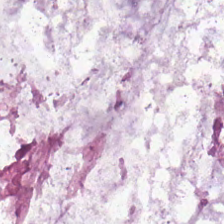0.5 microns per pixel; H&E — The tissue here is extracellular mucin.
